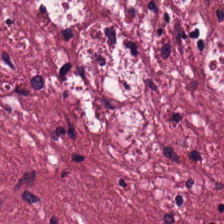Showing tumor stroma.
